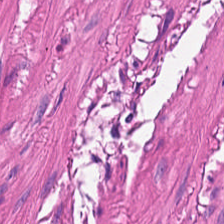Stain: H&E-stained tissue section.
Tissue class: smooth muscle.
